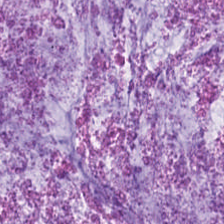This patch shows extracellular mucin.
